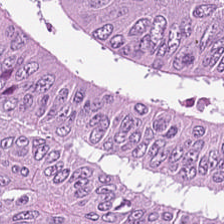H&E — Predominantly adenocarcinoma.
